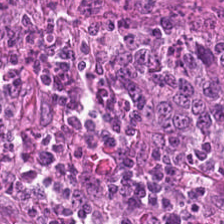Hematoxylin-and-eosin stained section.
This patch shows colorectal adenocarcinoma epithelium.
